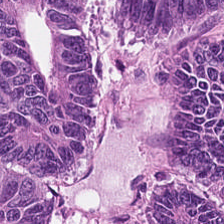Hematoxylin and eosin. 0.5 µm per pixel — Impression → tumor epithelium.
